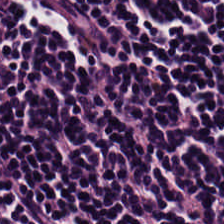Q: What tissue type is shown here?
A: It is lymphocytes.
